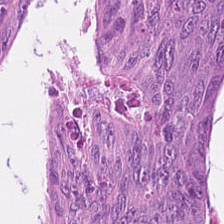H&E — The predominant tissue is malignant epithelium.
